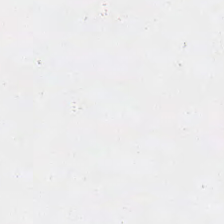Stain: H&E-stained tissue section.
Preparation: FFPE.
Classification: background (no tissue).
